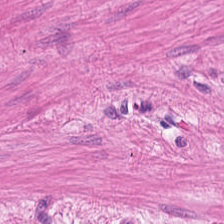H&E-stained tissue section.
Tissue type — smooth-muscle tissue.
